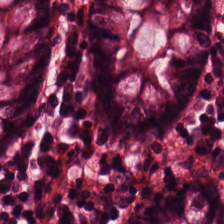Stain: hematoxylin and eosin.
Tissue class: normal colonic mucosa.
